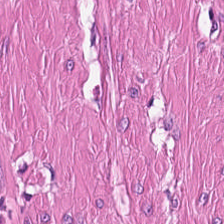224×224 px patch · hematoxylin and eosin — This field is smooth-muscle tissue.
